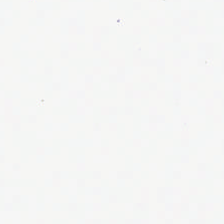FFPE; hematoxylin and eosin. Finding → no tissue.
